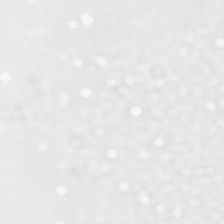H&E stain. Content: empty background.
